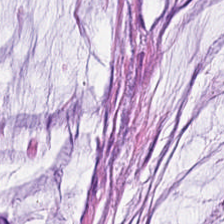H&E-stained section; the field shows extracellular mucin.
